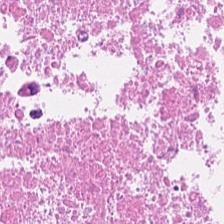0.5 µm/px. H&E-stained tissue section. Impression — debris.
